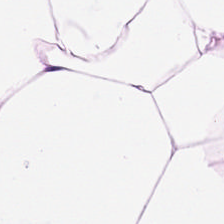FFPE tissue section; 224×224 px tile; hematoxylin-and-eosin stained section.
The tissue class is adipocytes.
